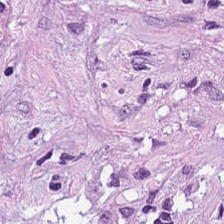H&E stain. Q: What is shown here?
A: The field shows cancer-associated stroma.
